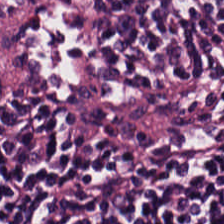Hematoxylin-and-eosin stained section.
The tissue is lymphocytic infiltrate.
